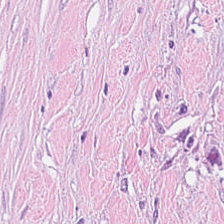Hematoxylin-and-eosin stained section.
Predominant tissue — cancer-associated stroma.
